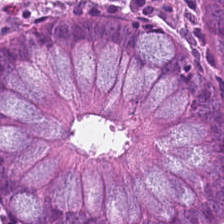H&E-stained tissue section · WSI patch · 20× equivalent magnification. Showing normal colon mucosa.
